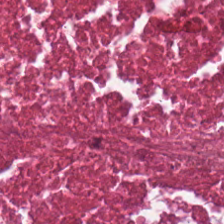224×224 px patch; H&E stain — Q: What is shown in this field?
A: Necrotic debris.
